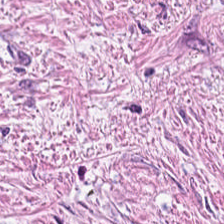Hematoxylin and eosin · 224×224 px tile.
Tissue type = tumor-associated stroma.
